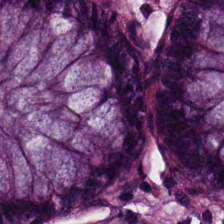Hematoxylin-and-eosin stained section; 224×224 px tile; formalin-fixed paraffin-embedded section. Finding — benign colonic mucosa.
